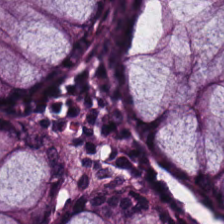Stain: H&E.
Classification: normal colon mucosa.
